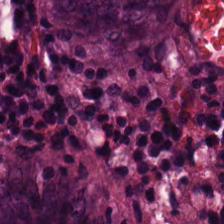Hematoxylin and eosin.
Tissue type = normal colon mucosa.
